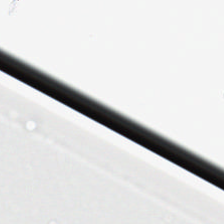H&E-stained tissue section.
Field content — empty background.
